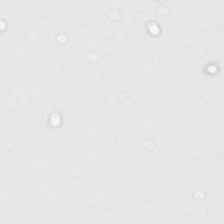Hematoxylin and eosin · formalin-fixed paraffin-embedded section — Content — no tissue.
